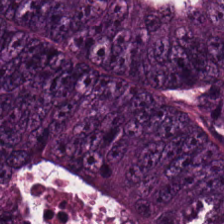WSI patch. Hematoxylin-and-eosin stained section. FFPE tissue section — Tissue class: colorectal adenocarcinoma epithelium.
